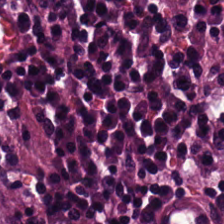0.5 µm/px; H&E-stained tissue section.
Classification = colorectal adenocarcinoma.
